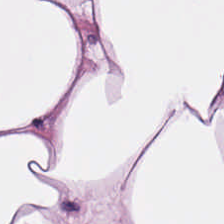Stain: H&E stain.
Preparation: formalin-fixed paraffin-embedded section.
Resolution: 0.5 microns per pixel.
Classification: adipose tissue.
